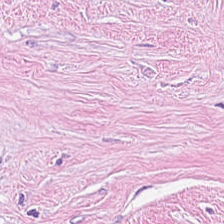FFPE tissue section; brightfield; H&E stain. Classification — desmoplastic stroma.
